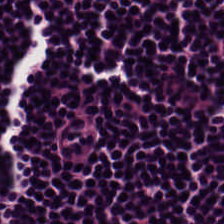224×224 px tile; hematoxylin-and-eosin stained section — Classification: lymphocytes.
